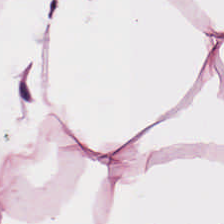Stain: H&E.
Tissue class: adipose tissue.
